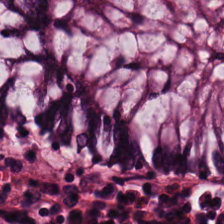H&E-stained tissue section.
The tissue here is normal colonic mucosa.
